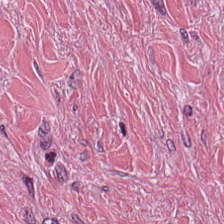H&E; FFPE; brightfield microscopy — Showing desmoplastic stroma.
